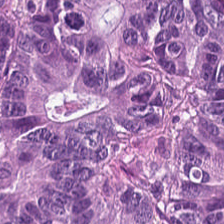Hematoxylin-and-eosin section: adenocarcinoma.
